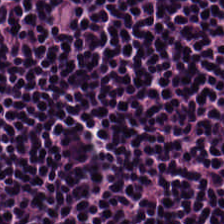H&E — Tissue — lymphoid infiltrate.
